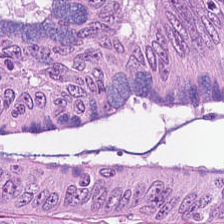Hematoxylin-and-eosin stained section. 0.5 µm per pixel. Q: What tissue is shown?
A: This is tumor epithelium.
